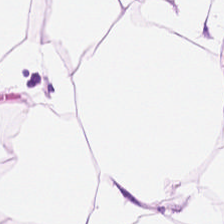224×224 pixel tile; whole-slide-image patch; hematoxylin and eosin.
Finding → adipose tissue.
